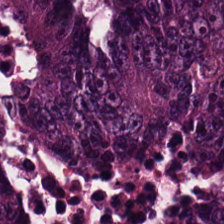0.5 µm/px · FFPE · hematoxylin and eosin.
Predominant tissue: tumor epithelium.
